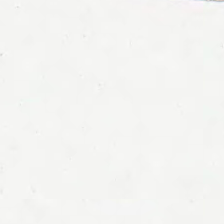This field is background (no tissue).
